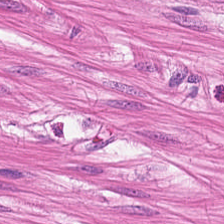H&E-stained tissue section. 0.5 µm/px — Q: What tissue type is shown here?
A: The field shows muscularis.
